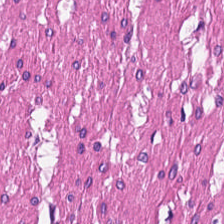WSI patch; 0.5 microns per pixel; H&E-stained tissue section. Q: What is the predominant tissue type?
A: Muscularis.
